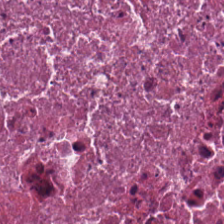Hematoxylin-and-eosin stained section · 0.5 microns per pixel.
This patch shows cellular debris.
